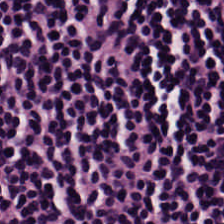FFPE tissue section · hematoxylin-and-eosin stained section. Tissue = lymphocytes.
